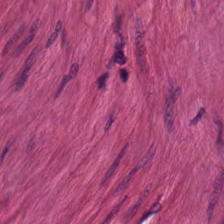224×224 px tile. Brightfield microscopy. Hematoxylin and eosin. This field is muscularis.
